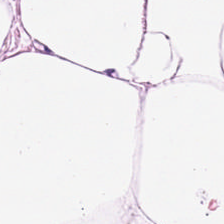H&E-stained tissue section.
This patch shows adipose tissue.
